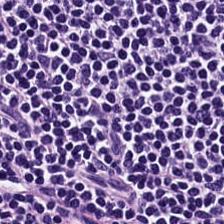Hematoxylin and eosin — The predominant tissue is lymphoid infiltrate.
